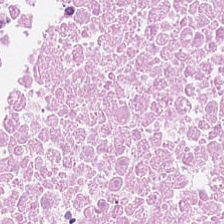H&E.
Q: What is shown in this field?
A: The field shows necrotic debris.
